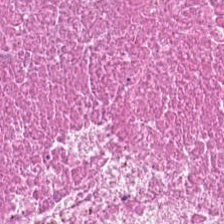H&E-stained tissue section.
Showing debris.
